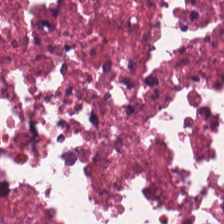The tissue here is necrotic debris.
